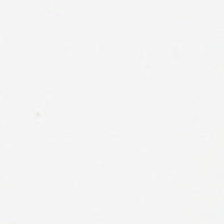Stain: hematoxylin and eosin.
Content: background.
